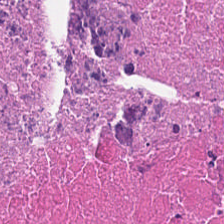0.5 microns per pixel · hematoxylin and eosin.
The tissue here is cellular debris.
